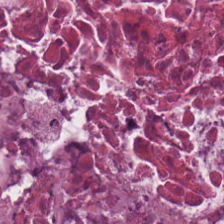Impression → necrotic debris.
